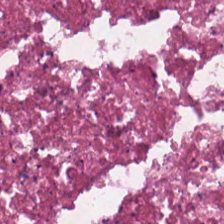H&E. The predominant tissue is necrotic debris.
